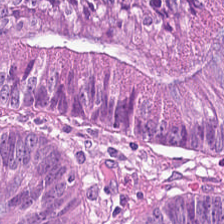Hematoxylin-and-eosin stained section — Tissue — malignant epithelium.
